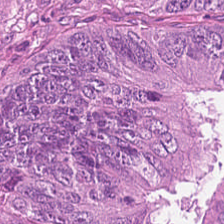H&E-stained tissue section.
This field is colorectal adenocarcinoma epithelium.
